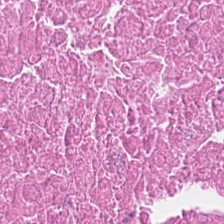Stain: H&E stain.
Predominant tissue: debris.
